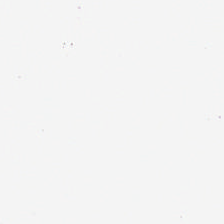Q: What does this patch show?
A: It is background.
